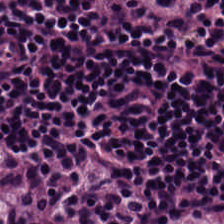Hematoxylin-and-eosin stained section. Tissue class: lymphocytes.
